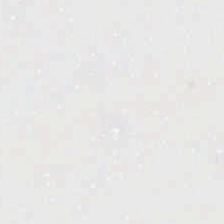Content: background.
